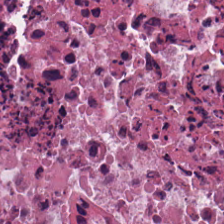H&E. Tissue class — necrotic debris.
